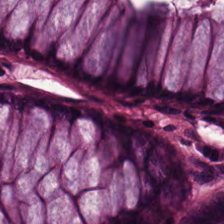FFPE · H&E stain.
Q: What is the predominant tissue type?
A: It is normal colon mucosa.
